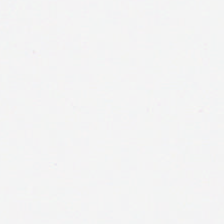H&E stain.
This field is background (no tissue).
